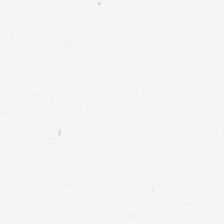Brightfield · H&E stain · 224×224 px tile. Empty field — background.
